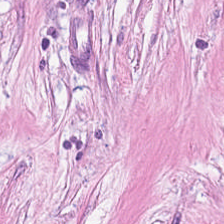H&E-stained tissue section. Impression — desmoplastic stroma.
